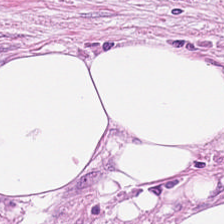H&E stain; 0.5 microns per pixel — The tissue type is cancer-associated stroma.
